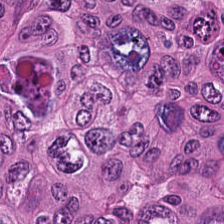FFPE · hematoxylin and eosin · brightfield.
Q: What is the predominant tissue type?
A: It is adenocarcinoma.
